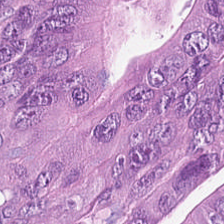The tissue class is colorectal adenocarcinoma.
